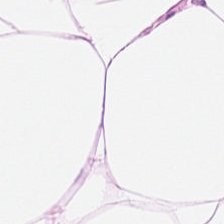Hematoxylin-and-eosin stained section.
Q: What does this patch show?
A: The field shows adipose.
